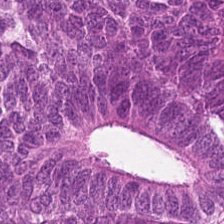H&E stain — Finding — colorectal adenocarcinoma.
